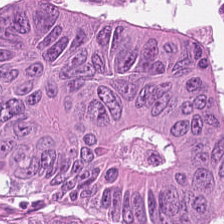The predominant tissue is adenocarcinoma.
